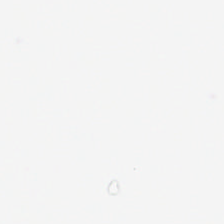H&E — Finding — background (no tissue).
